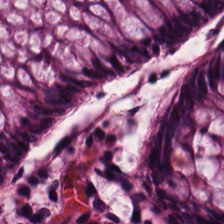Q: What is shown here?
A: The field shows normal colon mucosa.
